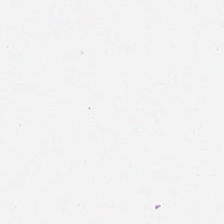H&E-stained tissue section · FFPE.
Field content — empty background.
